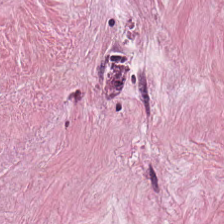H&E stain. Tissue — desmoplastic stroma.
